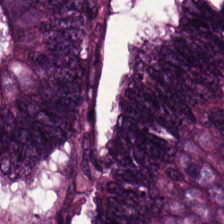Formalin-fixed paraffin-embedded section · 0.5 microns per pixel · hematoxylin-and-eosin stained section — The predominant tissue is colorectal adenocarcinoma epithelium.
